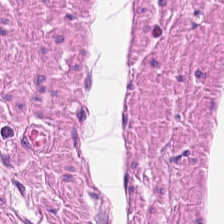H&E-stained tissue section.
Muscularis.
